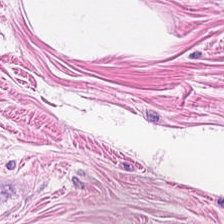Brightfield · H&E stain · 224×224 px patch. This field is smooth muscle.
